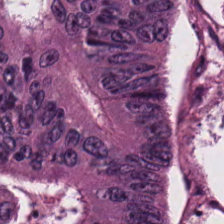0.5 µm per pixel · hematoxylin and eosin — Showing adenocarcinoma.
